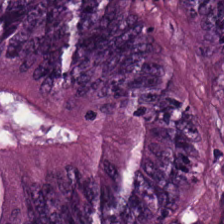H&E stain — The tissue is malignant epithelium.
